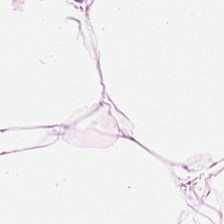224×224 px patch · hematoxylin-and-eosin stained section. Histology — fat tissue.
